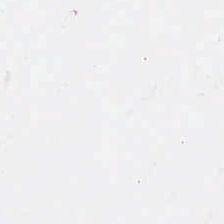H&E stain.
Impression → background.
